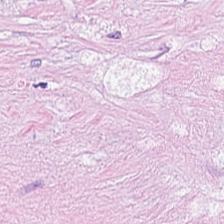Q: What tissue is shown?
A: This is cancer-associated stroma.
